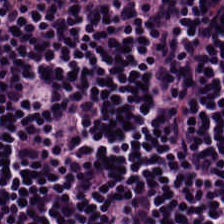H&E-stained tissue section showing lymphocytic infiltrate.
